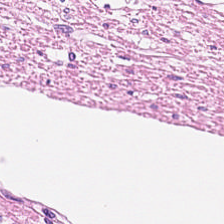Stain: H&E-stained tissue section.
Tissue class: smooth-muscle tissue.
